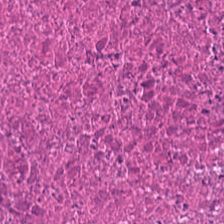FFPE. Hematoxylin and eosin.
Necrotic debris.
